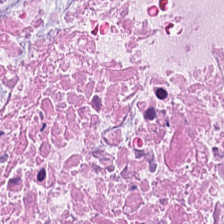H&E — cellular debris.
